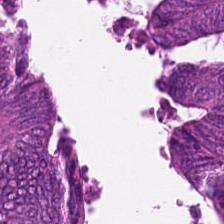H&E-stained tissue section. 0.5 µm per pixel. Q: Classify this patch.
A: This is colorectal adenocarcinoma.
